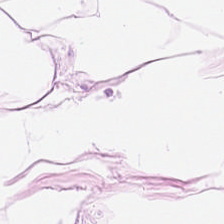This patch shows adipose tissue.
